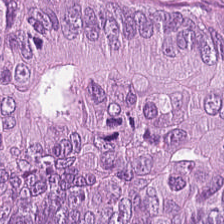H&E.
Predominant tissue: adenocarcinoma.
